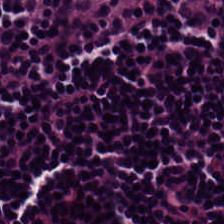Stain: H&E-stained tissue section.
Acquisition: brightfield microscopy.
Classification: lymphocytic infiltrate.
